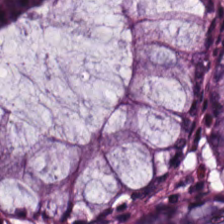H&E — Tissue type — benign colonic mucosa.
